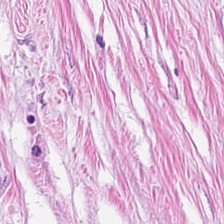H&E-stained tissue section. The tissue here is desmoplastic stroma.
